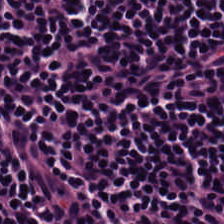Hematoxylin-and-eosin stained section; 224×224 pixel tile — Tissue: lymphocyte aggregate.
